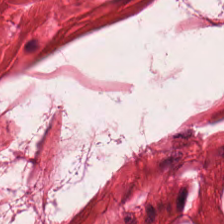Smooth-muscle tissue.
